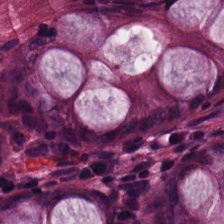Stain: hematoxylin and eosin.
Tissue: normal colonic mucosa.
